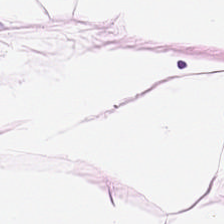Hematoxylin and eosin. The tissue type is adipocytes.
